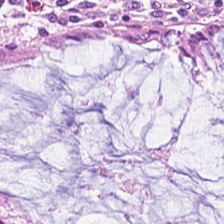Hematoxylin-and-eosin stained section.
Finding — benign colonic mucosa.
